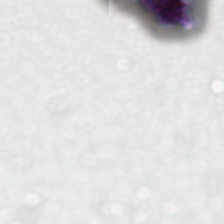Content — background.
